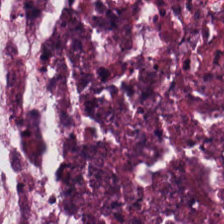Hematoxylin-and-eosin stained section — Tissue type = necrotic debris.
